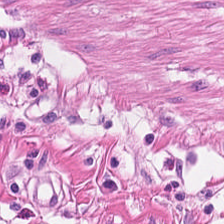H&E — Q: What does this patch show?
A: This is smooth muscle.
